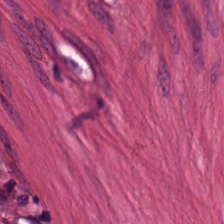Showing muscularis.
